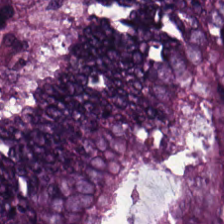The tissue class is tumor epithelium.
